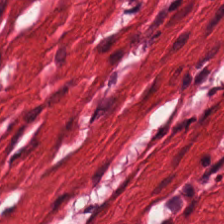Whole-slide-image patch. Hematoxylin and eosin — Q: What does this patch show?
A: The field shows smooth muscle.
